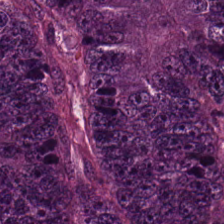Q: What type of tissue is this?
A: It is colorectal adenocarcinoma.
